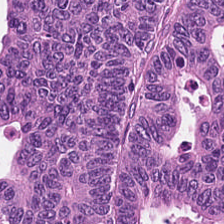Whole-slide-image patch; H&E stain — Finding — tumor epithelium.
